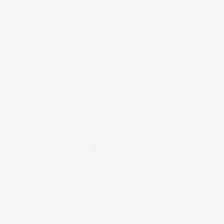FFPE. 224×224 px tile. Hematoxylin and eosin. Histology → background (no tissue).
